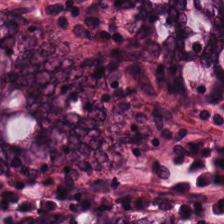H&E · FFPE tissue section — Normal colon mucosa.
